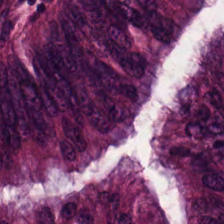0.5 microns per pixel. Hematoxylin-and-eosin stained section. Predominantly colorectal adenocarcinoma epithelium.
